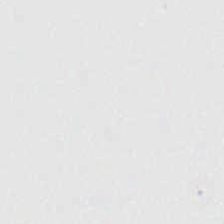Q: Classify this patch.
A: It is empty background.
